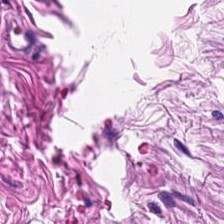Histology → smooth muscle.
